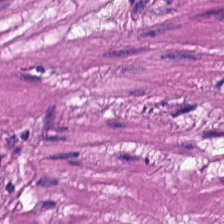This field is smooth muscle.
